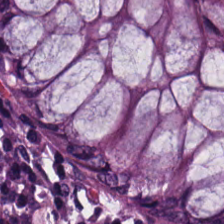Stain: H&E stain.
Tissue class: normal colonic mucosa.
